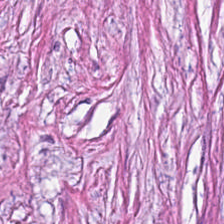20× equivalent magnification. H&E stain.
Cancer-associated stroma.
